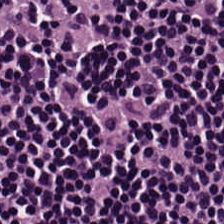Hematoxylin-and-eosin stained section.
The predominant tissue is lymphoid infiltrate.
